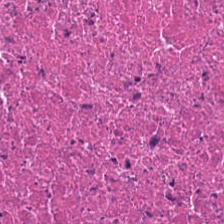H&E stain.
The tissue here is necrotic debris.
